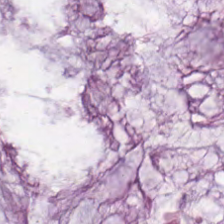H&E stain — {"tissue_type": "mucus"}
